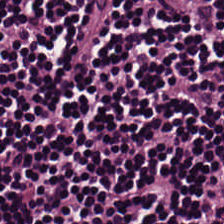Brightfield microscopy. Hematoxylin and eosin.
Q: What is shown here?
A: It is lymphocyte aggregate.
